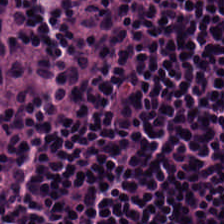Q: What tissue type is shown here?
A: It is lymphocyte aggregate.
